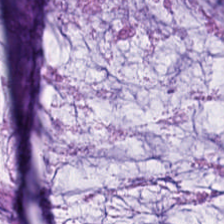H&E-stained tissue section. The tissue here is mucin.
